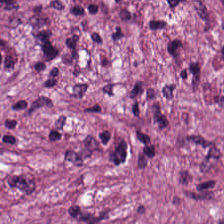This patch shows cancer-associated stroma.
